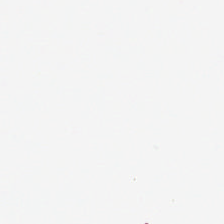Hematoxylin-and-eosin stained section; whole-slide-image patch. Q: What does this patch show?
A: It is empty background.
